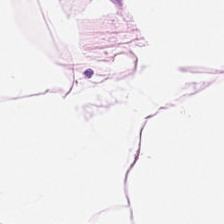Q: What is shown here?
A: This is adipose tissue.
